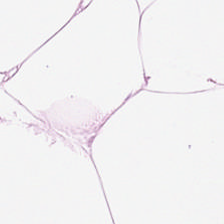Hematoxylin-and-eosin stained section; FFPE tissue section; brightfield microscopy.
{"tissue_type": "fat tissue"}
